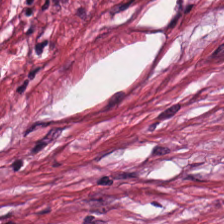Q: What is shown in this field?
A: It is tumor-associated stroma.
